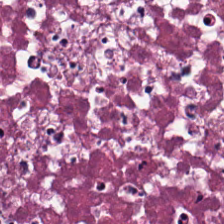Brightfield microscopy. Hematoxylin-and-eosin stained section. 20× equivalent magnification — Q: What tissue type is shown here?
A: Necrotic debris.
